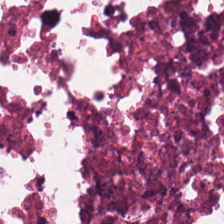Hematoxylin and eosin. {"tissue_type": "necrotic debris"}
